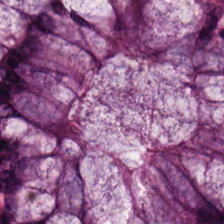Formalin-fixed paraffin-embedded section; 224×224 pixel tile; H&E-stained tissue section — Tissue: non-neoplastic colon mucosa.
